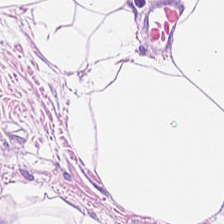Hematoxylin-and-eosin stained section. Classification — adipose.
